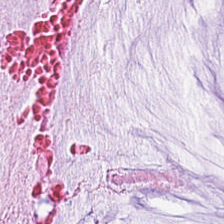H&E-stained tissue section.
Tissue class: mucin.
